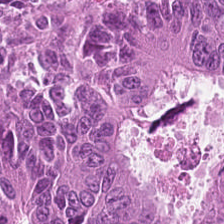Histology → malignant epithelium.
